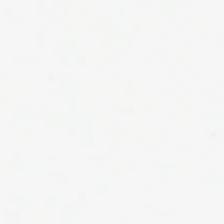H&E. Impression — background (no tissue).
